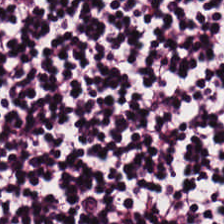Hematoxylin-and-eosin stained section. Q: What type of tissue is this?
A: Lymphocyte aggregate.
